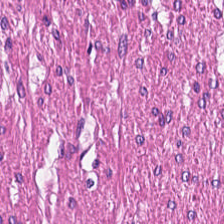H&E stain · WSI patch · FFPE — Muscularis.
